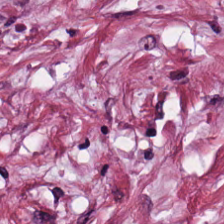Hematoxylin-and-eosin stained section; 224×224 px tile; 0.5 microns per pixel. The tissue class is desmoplastic stroma.
